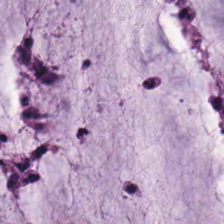H&E-stained tissue section · 0.5 microns per pixel.
Q: What is shown in this field?
A: It is extracellular mucin.
